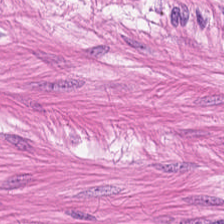FFPE tissue section. 224×224 pixel tile. H&E stain — Tissue = muscularis.
